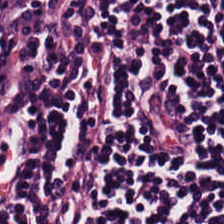WSI patch; H&E-stained tissue section.
Tissue type — lymphocytic infiltrate.
